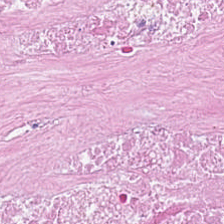224×224 px tile. H&E stain. Histology → necrotic debris.
